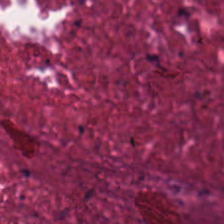Hematoxylin and eosin. Tissue = cellular debris.
